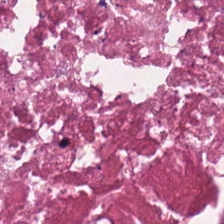Q: What is the predominant tissue type?
A: It is cellular debris.
